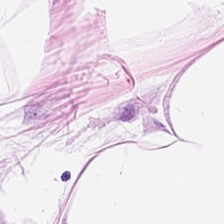H&E stain. Adipose.
